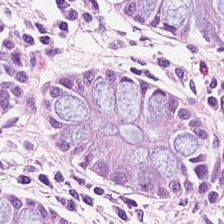Hematoxylin and eosin — Histology — benign colonic mucosa.
